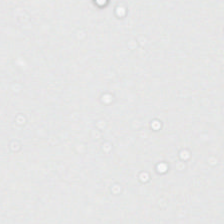Classification — empty background.
